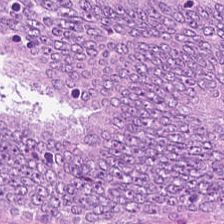Hematoxylin-and-eosin stained section.
Showing colorectal adenocarcinoma epithelium.
